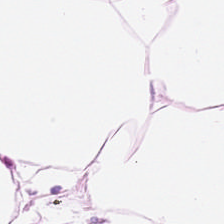WSI patch. Hematoxylin and eosin.
Fat tissue.
